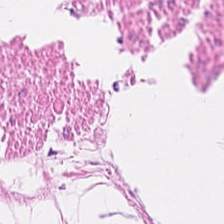H&E.
The predominant tissue is muscularis.
